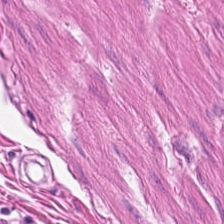Classification = smooth-muscle tissue.
